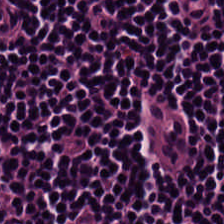This field is lymphocytic infiltrate.
